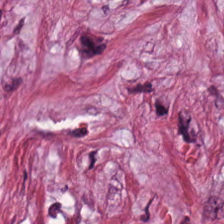Hematoxylin-and-eosin stained section. The classification is cancer-associated stroma.
